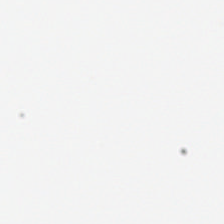0.5 microns per pixel; hematoxylin-and-eosin stained section — Empty field — background.
